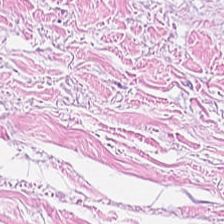Q: Classify this patch.
A: This is desmoplastic stroma.
